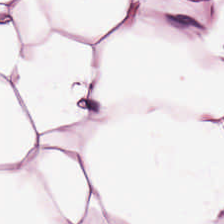Q: What tissue is shown?
A: The field shows fat tissue.
